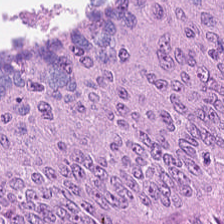0.5 µm/px; hematoxylin-and-eosin stained section — Showing colorectal adenocarcinoma.
